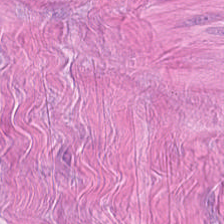Hematoxylin-and-eosin stained section. Q: What is shown in this field?
A: It is smooth muscle.
